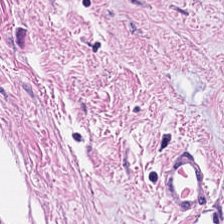H&E-stained tissue section. Impression — smooth-muscle tissue.
